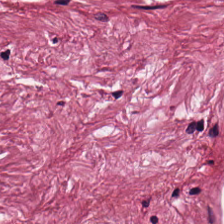Stain: H&E-stained tissue section.
Classification: desmoplastic stroma.
